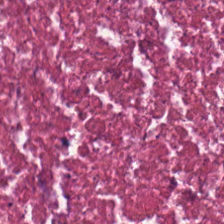FFPE tissue section; H&E stain; 224×224 px tile.
Predominantly necrotic debris.
